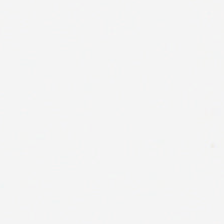{"content": "background (no tissue)"}
